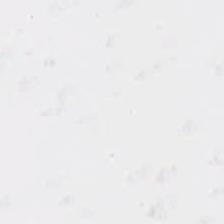FFPE; H&E-stained tissue section.
{"content": "no tissue"}
